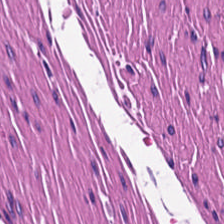Hematoxylin and eosin; formalin-fixed paraffin-embedded section. Finding — smooth muscle.
